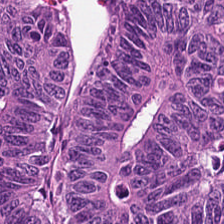H&E. {"tissue_type": "malignant epithelium"}
